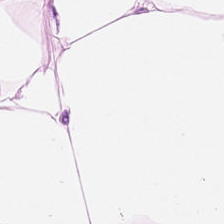Hematoxylin and eosin.
This field is adipose.
